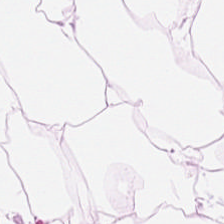Hematoxylin-and-eosin stained section. {"tissue_type": "adipose tissue"}
